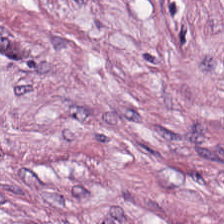H&E stain. WSI patch. Formalin-fixed paraffin-embedded section. The tissue here is tumor stroma.
